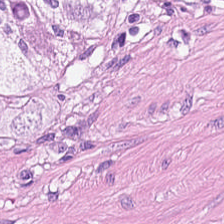224×224 px patch. H&E — Tissue class — muscularis.
